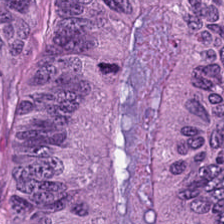224×224 pixel tile · 0.5 µm/px · H&E stain. The predominant tissue is malignant epithelium.
